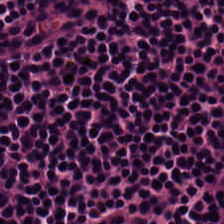Hematoxylin and eosin.
Q: What type of tissue is this?
A: It is lymphocytes.
